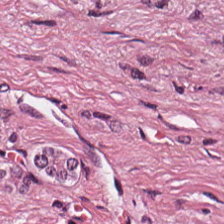Hematoxylin and eosin; 0.5 microns per pixel — Q: Identify the tissue.
A: The field shows tumor-associated stroma.
